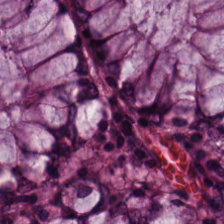0.5 µm per pixel; hematoxylin-and-eosin stained section — This patch shows normal colonic mucosa.
